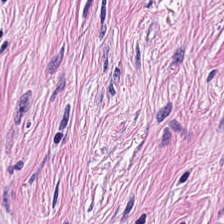The tissue class is tumor stroma.
